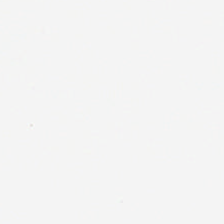224×224 px tile; FFPE tissue section; hematoxylin and eosin. This field is background (no tissue).
